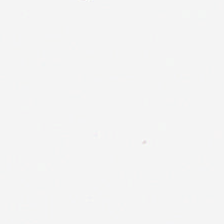Impression → no tissue.
